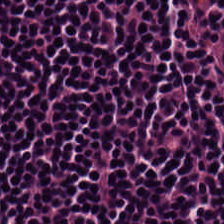224×224 pixel tile; hematoxylin and eosin. Predominantly lymphocytic infiltrate.
